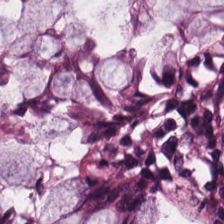FFPE · hematoxylin and eosin — Tissue type: non-neoplastic colon mucosa.
